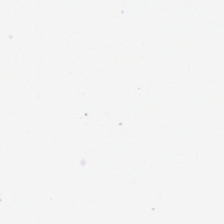FFPE tissue section · hematoxylin and eosin. This patch shows no tissue.
